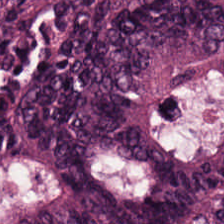Q: What tissue type is shown here?
A: Malignant epithelium.
